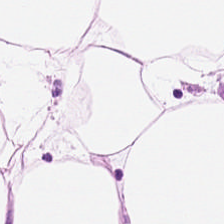FFPE; H&E stain. The tissue type is adipose tissue.
